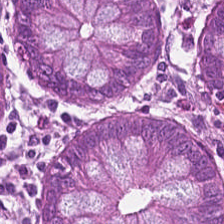Hematoxylin-and-eosin stained section · FFPE · 0.5 microns per pixel.
Q: What tissue is shown?
A: This is normal colon mucosa.
